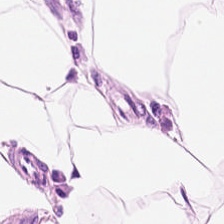H&E · brightfield microscopy — Predominant tissue — fat tissue.
